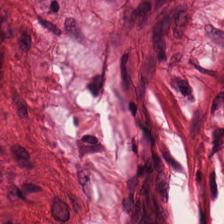Stain: H&E.
Tissue type: smooth muscle.
